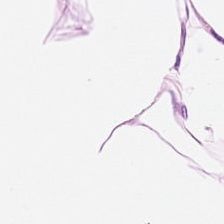H&E stain. Finding → adipocytes.
